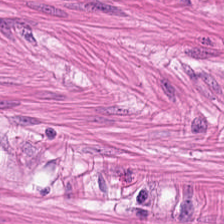The tissue is muscularis.
